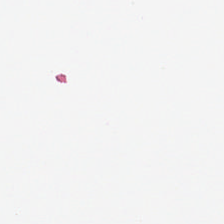H&E — No tissue.
